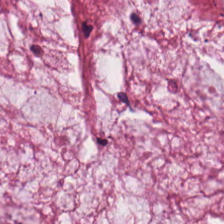Formalin-fixed paraffin-embedded section; whole-slide-image patch; H&E-stained tissue section — This patch shows extracellular mucin.
